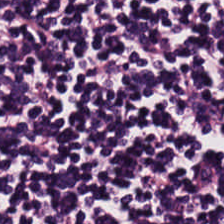{"tissue_type": "lymphoid infiltrate"}
